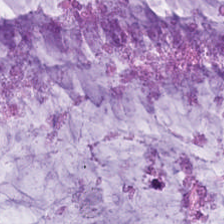Stain: hematoxylin-and-eosin stained section.
Preparation: FFPE.
Predominant tissue: extracellular mucin.
